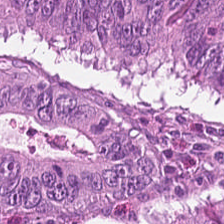H&E. Q: Classify this patch.
A: This is tumor epithelium.
